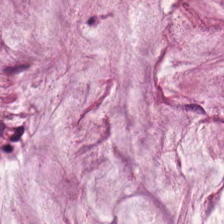Stain: hematoxylin and eosin.
Tissue class: extracellular mucin.
